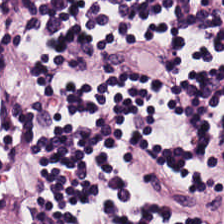20× equivalent magnification; H&E. Predominant tissue — lymphocyte aggregate.
